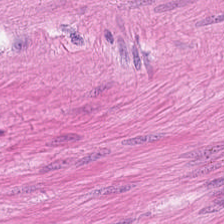Hematoxylin and eosin. This patch shows smooth-muscle tissue.
